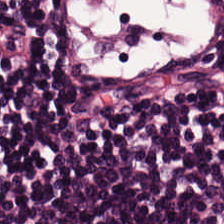Finding → lymphocytic infiltrate.
